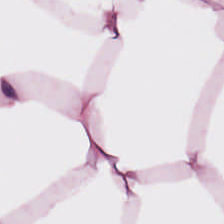Stain: H&E.
Acquisition: WSI patch.
Preparation: FFPE.
Tissue class: adipocytes.
